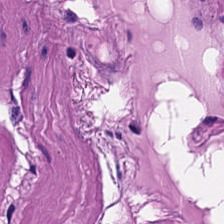H&E-stained tissue section. 0.5 microns per pixel. Impression → smooth muscle.
